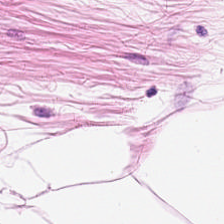Q: Identify the tissue.
A: This is adipocytes.
